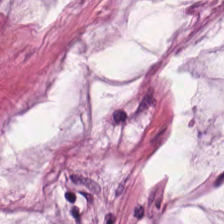Hematoxylin and eosin.
Impression → mucin.
